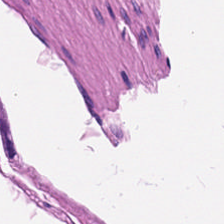H&E-stained tissue section.
The tissue class is smooth muscle.
